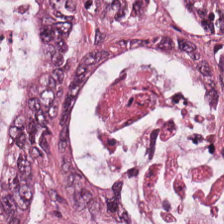H&E stain. Tissue type = tumor epithelium.
